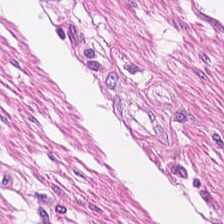The tissue here is muscularis.
